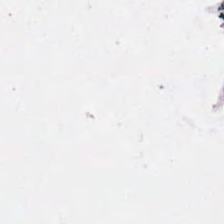Background — no tissue in this field.
